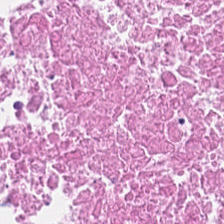H&E-stained tissue section.
Q: What is shown here?
A: This is debris.
